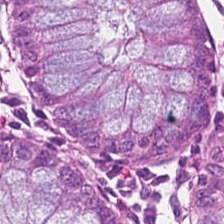0.5 µm per pixel. H&E-stained tissue section. 224×224 px tile.
Tissue class = non-neoplastic colon mucosa.
